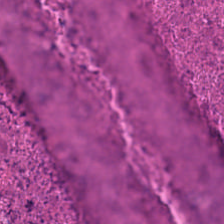FFPE. H&E stain — Tissue type = necrotic debris.
